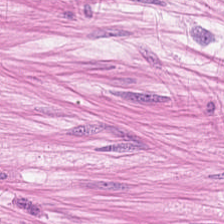Tissue — muscularis.
